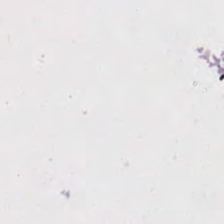Hematoxylin-and-eosin stained section.
No tissue present; background only.
